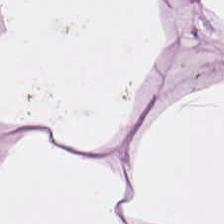H&E — Tissue: adipocytes.
